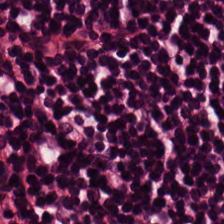H&E-stained tissue section; FFPE. Lymphoid infiltrate.
